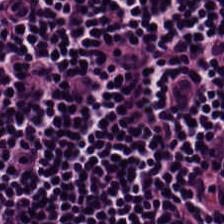H&E. Lymphocytic infiltrate.
